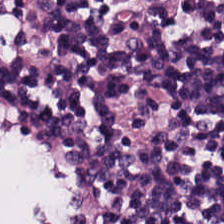Hematoxylin and eosin — This field is lymphocytic infiltrate.
